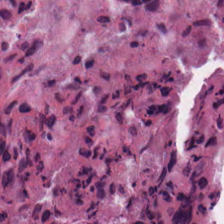H&E stain.
The tissue here is necrotic debris.
